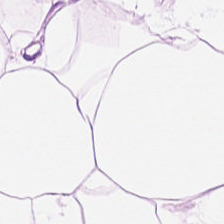Hematoxylin and eosin. Predominant tissue: adipose tissue.
